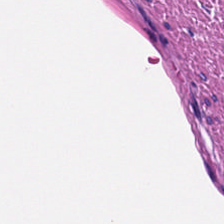H&E patch showing muscularis.
